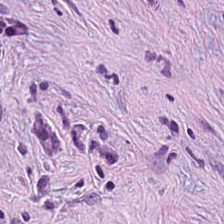Hematoxylin-and-eosin stained section — Tissue — cancer-associated stroma.
